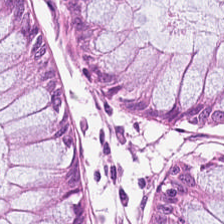Hematoxylin and eosin.
Impression → normal colonic mucosa.
